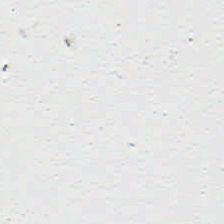0.5 microns per pixel. H&E stain.
Finding → no tissue.
